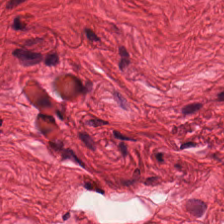H&E-stained tissue section showing smooth muscle.
